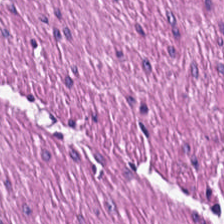H&E stain. Classification = smooth muscle.
